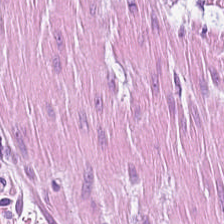H&E-stained tissue section. The tissue here is smooth muscle.
